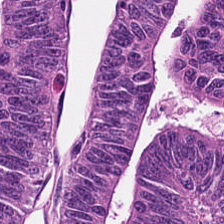224×224 px tile. H&E-stained tissue section. The tissue here is colorectal adenocarcinoma.
